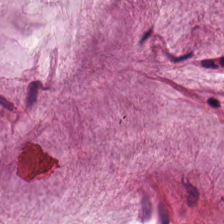H&E-stained tissue section.
The tissue here is mucus.
